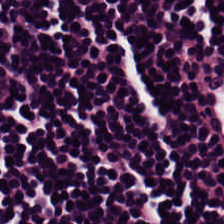Hematoxylin and eosin. Tissue type — lymphocytic infiltrate.
